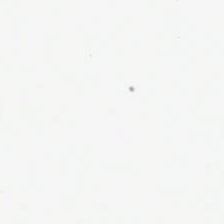H&E-stained tissue section.
Field content: empty background.
